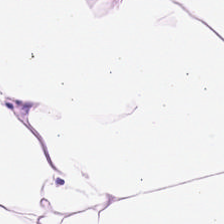H&E patch showing adipose tissue.
